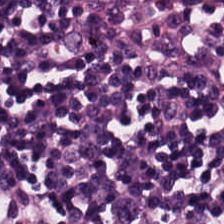Hematoxylin-and-eosin stained section.
Predominantly lymphocytic infiltrate.
